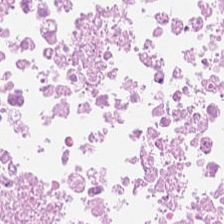Hematoxylin-and-eosin section: necrotic debris.
